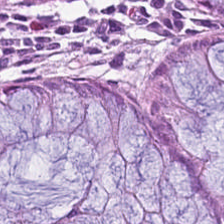Stain: H&E stain.
Tissue type: benign colonic mucosa.
